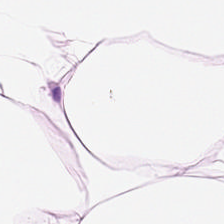Stain: hematoxylin and eosin.
Tissue class: fat tissue.
